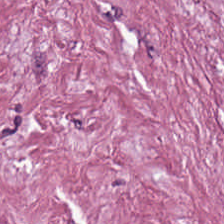This field is desmoplastic stroma.
